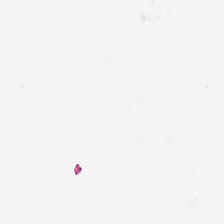Hematoxylin-and-eosin stained section. Impression → background (no tissue).
